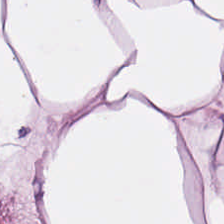Formalin-fixed paraffin-embedded section · H&E stain. The tissue type is adipose.
